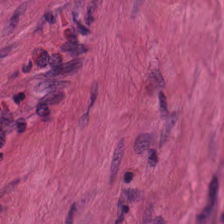Hematoxylin and eosin. Q: What type of tissue is this?
A: Smooth muscle.
